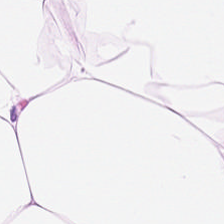Whole-slide-image patch · H&E. Tissue = fat tissue.
